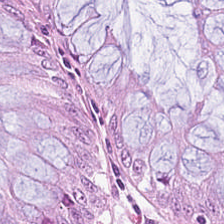H&E stain; whole-slide-image patch — The tissue is benign colonic mucosa.
